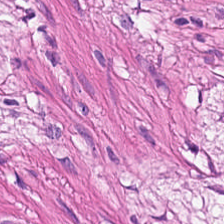Hematoxylin-and-eosin stained section. Predominantly smooth-muscle tissue.
